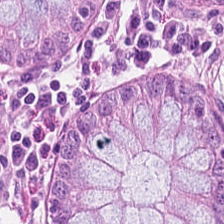H&E-stained tissue section. Whole-slide-image patch. Finding → normal colonic mucosa.
